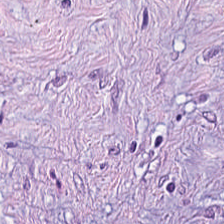Histology — tumor-associated stroma.
